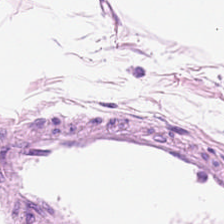H&E stain.
Predominant tissue: adipose tissue.
